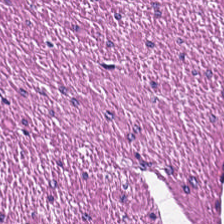{"tissue_type": "smooth-muscle tissue"}
